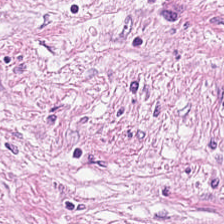H&E stain — Desmoplastic stroma.
